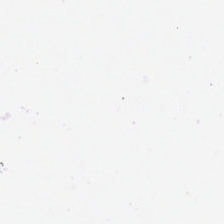Hematoxylin-and-eosin stained section. This patch shows no tissue.
